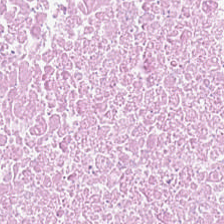H&E. Showing necrotic debris.
